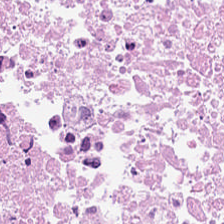Classification — debris.
